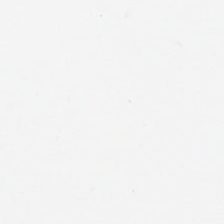H&E stain — {"content": "background (no tissue)"}
